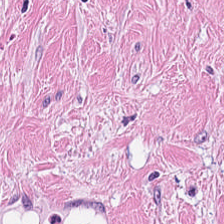H&E stain.
Q: What tissue type is shown here?
A: It is cancer-associated stroma.
